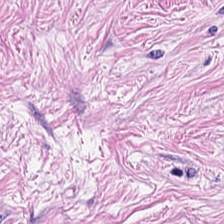0.5 microns per pixel · H&E — Classification: tumor-associated stroma.
